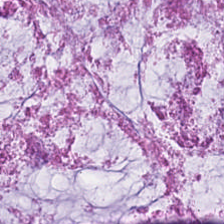Impression — extracellular mucin.
